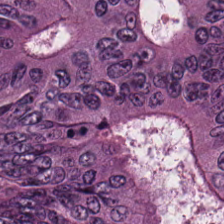Hematoxylin-and-eosin stained section. 0.5 µm per pixel. {"tissue_type": "malignant epithelium"}
